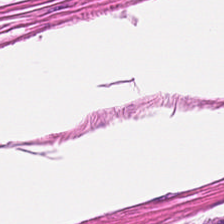Stain: H&E stain.
Resolution: 0.5 µm/px.
Tissue: smooth muscle.
